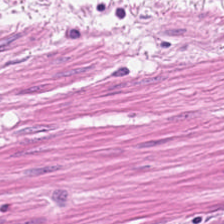H&E — muscularis.
